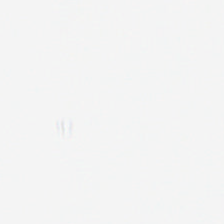H&E stain. Formalin-fixed paraffin-embedded section. 224×224 px patch. Classification — no tissue.
